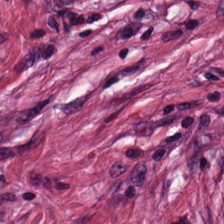224×224 px tile. H&E-stained tissue section. 0.5 µm/px — {"tissue_type": "tumor-associated stroma"}
